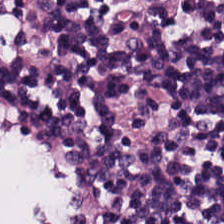Stain: hematoxylin and eosin.
Preparation: FFPE.
Tile size: 224×224 px tile.
Tissue type: lymphocytic infiltrate.
